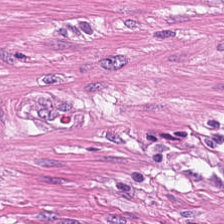H&E stain. FFPE. Smooth muscle.
